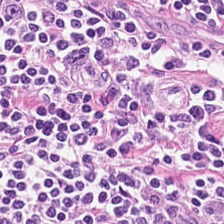Hematoxylin-and-eosin stained section. The classification is lymphocytic infiltrate.
